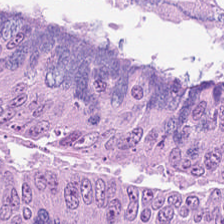The predominant tissue is colorectal adenocarcinoma.
